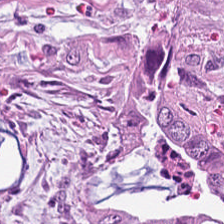H&E-stained tissue section; 224×224 pixel tile — Q: Identify the tissue.
A: It is desmoplastic stroma.
